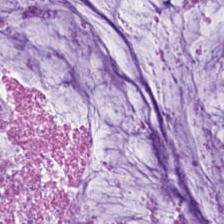Tissue type: mucin.
